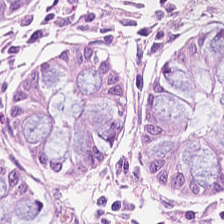Stain: H&E stain.
Predominant tissue: normal colon mucosa.
